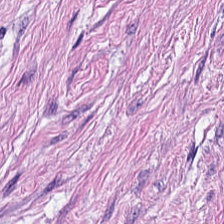Brightfield microscopy. 224×224 px tile. H&E — Classification: muscularis.
